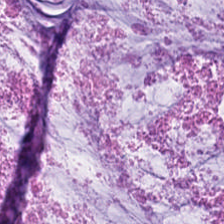Hematoxylin-and-eosin stained section — The tissue here is mucin.
